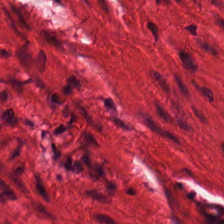H&E · 0.5 microns per pixel.
This patch shows muscularis.
